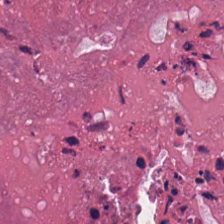H&E-stained tissue section — Debris.
